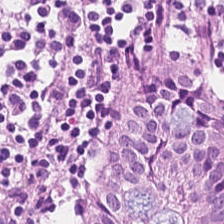H&E stain. Q: What type of tissue is this?
A: It is non-neoplastic colon mucosa.
